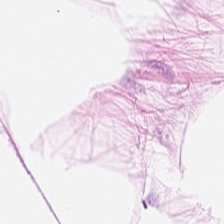224×224 px patch; H&E stain.
Q: Identify the tissue.
A: The field shows fat tissue.
